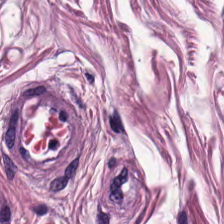Finding — smooth muscle.
